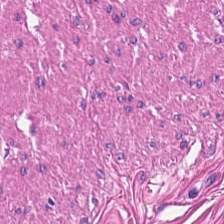H&E — smooth-muscle tissue.
